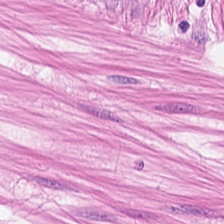Hematoxylin and eosin. 224×224 px patch.
Showing muscularis.
